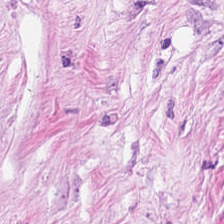Whole-slide-image patch. H&E stain.
Classification — tumor stroma.
